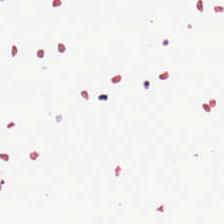H&E.
This patch shows empty background.
